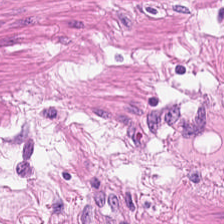H&E stain — Tissue — smooth-muscle tissue.
